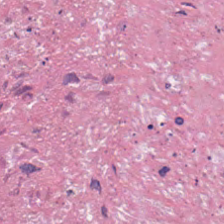{"tissue_type": "necrotic debris"}
